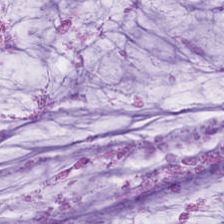This patch shows extracellular mucin.
